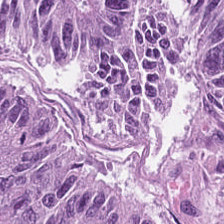Hematoxylin and eosin · WSI patch — Classification = colorectal adenocarcinoma.
